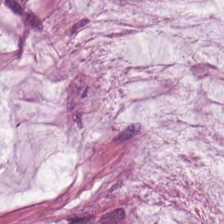Classification — mucus.
